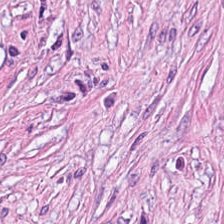FFPE tissue section · hematoxylin and eosin.
Predominantly tumor stroma.
